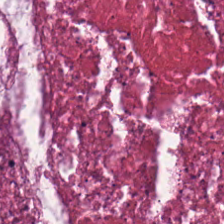This patch shows cellular debris.
